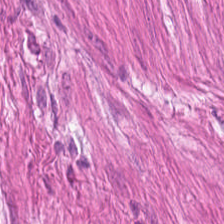H&E.
Classification — muscularis.
